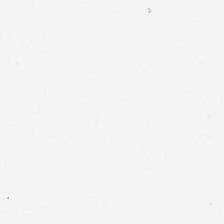224×224 px tile · hematoxylin-and-eosin stained section — This patch shows empty background.
